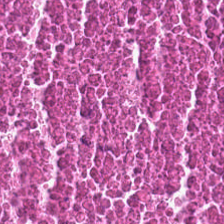Stain: H&E.
Resolution: 0.5 µm/px.
Tissue: necrotic debris.
